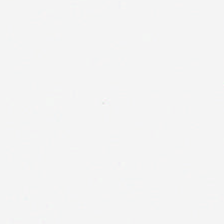No tissue present; background only.
